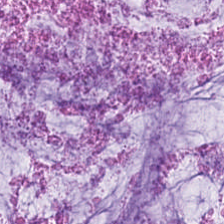Stain: H&E stain.
Tissue class: mucin.
